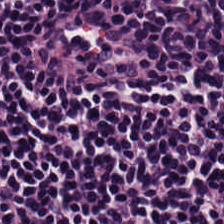H&E stain.
Predominantly lymphoid infiltrate.
